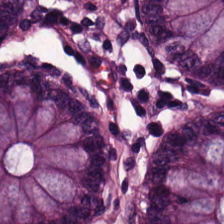H&E; 0.5 µm/px; brightfield — Tissue class: normal colonic mucosa.
